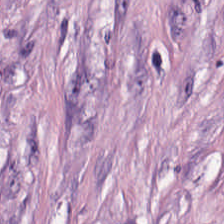Hematoxylin and eosin. 0.5 µm/px.
{"tissue_type": "cancer-associated stroma"}
